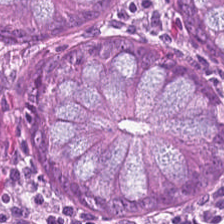H&E-stained tissue section.
{"tissue_type": "non-neoplastic colon mucosa"}
